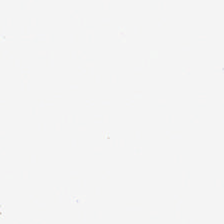This patch shows background (no tissue).
